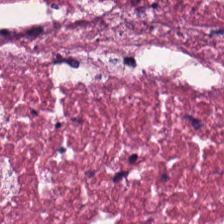224×224 px tile; H&E-stained tissue section.
The tissue class is debris.
